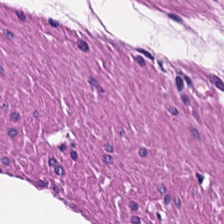20× equivalent magnification · brightfield microscopy · H&E-stained tissue section.
Muscularis.
